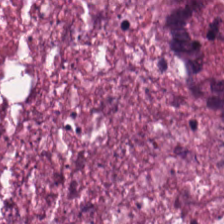H&E-stained tissue section · WSI patch — Q: What does this patch show?
A: It is debris.
